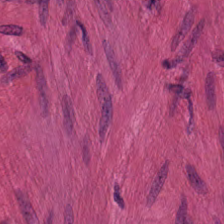Stain: hematoxylin-and-eosin stained section.
Tile size: 224×224 px tile.
Tissue class: smooth muscle.
